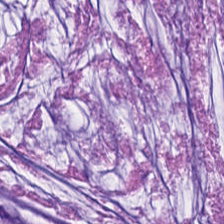Hematoxylin-and-eosin stained section · 20× equivalent magnification — The predominant tissue is mucin.
